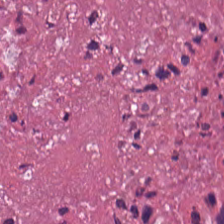H&E-stained tissue section — This field is cellular debris.
